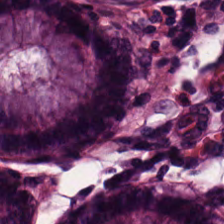Hematoxylin-and-eosin stained section — Tissue type = non-neoplastic colon mucosa.
